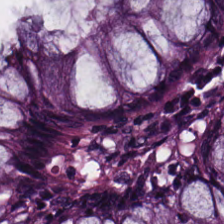H&E stain · FFPE tissue section.
Benign colonic mucosa.
